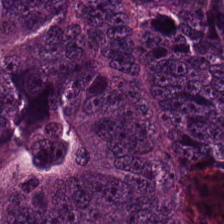Hematoxylin-and-eosin stained section — Q: Classify this patch.
A: It is tumor epithelium.
